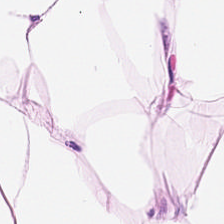Hematoxylin-and-eosin stained section · 224×224 px tile · formalin-fixed paraffin-embedded section.
Tissue type — fat tissue.
